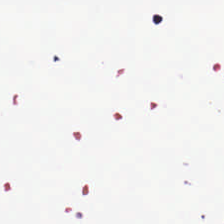Q: What is shown in this field?
A: Empty background.
